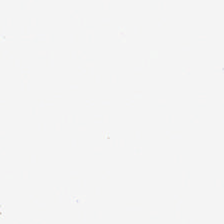H&E-stained tissue section — Q: What is shown here?
A: This is background (no tissue).
